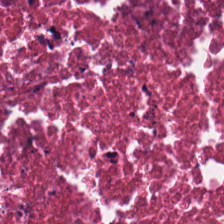Brightfield; hematoxylin-and-eosin stained section; formalin-fixed paraffin-embedded section. Tissue: cellular debris.
